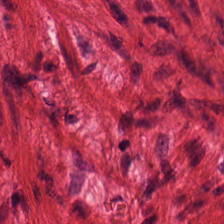Stain: hematoxylin-and-eosin stained section.
Tile size: 224×224 px tile.
Tissue type: smooth muscle.
